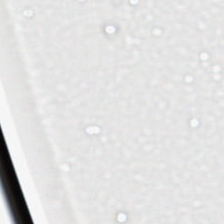Stain: hematoxylin-and-eosin stained section.
Tile size: 224×224 pixel tile.
Resolution: 0.5 µm/px.
Content: empty background.
